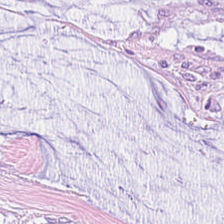Histology → extracellular mucin.
